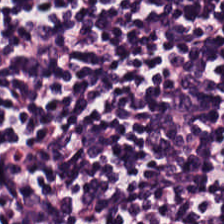H&E-stained tissue section — Impression → lymphocytes.
